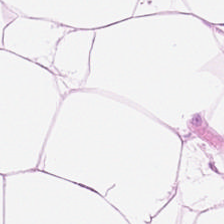H&E. Impression — fat tissue.
